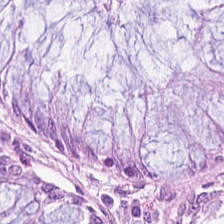H&E stain.
Predominant tissue = benign colonic mucosa.
